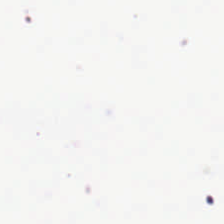H&E. 224×224 px tile. Brightfield microscopy — Field content: no tissue.
